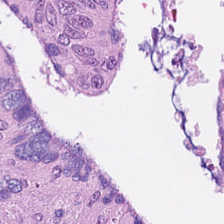The predominant tissue is adenocarcinoma.
